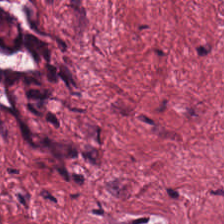Impression — tumor stroma.
